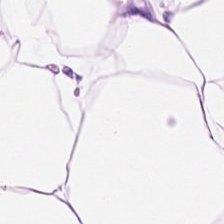H&E-stained tissue section; FFPE tissue section — Predominant tissue — adipose.
